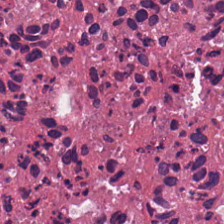The tissue is debris.
